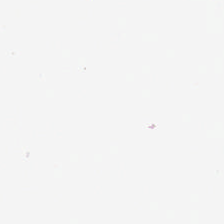Hematoxylin-and-eosin stained section.
Histology — empty background.
